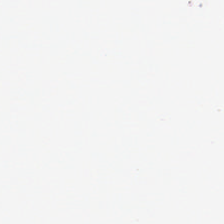Background — no tissue in this field.
